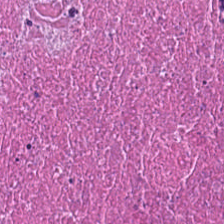This field is cellular debris.
